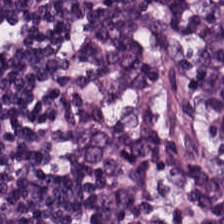Stain: hematoxylin and eosin.
Tile size: 224×224 px patch.
Acquisition: brightfield.
Tissue type: lymphoid infiltrate.
